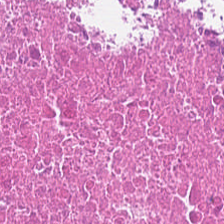Q: What type of tissue is this?
A: This is debris.
